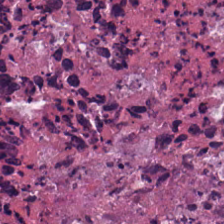FFPE tissue section · 224×224 pixel tile · H&E stain.
The tissue type is debris.
